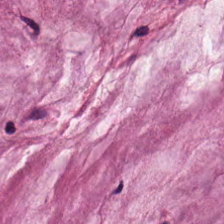Hematoxylin-and-eosin stained section — This field is mucus.
